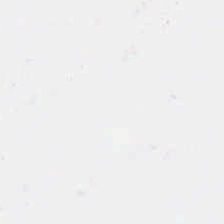H&E stain — The field content is no tissue.
